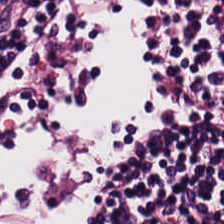Stain: H&E-stained tissue section.
Tissue: lymphocytic infiltrate.
